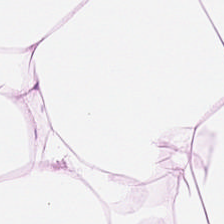H&E-stained tissue section showing adipose.
